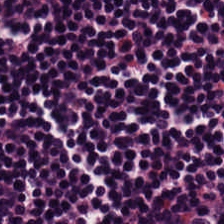Formalin-fixed paraffin-embedded section. H&E stain. WSI patch. {"tissue_type": "lymphocytes"}
